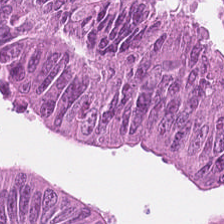Stain: H&E.
Tissue class: tumor epithelium.
